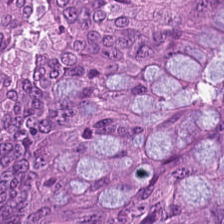H&E. Q: What is shown in this field?
A: It is malignant epithelium.
